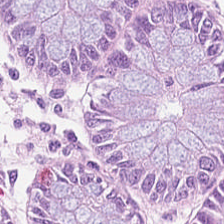Q: Identify the tissue.
A: The field shows benign colonic mucosa.
